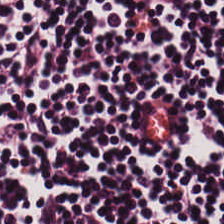H&E. Tissue type — lymphocytes.
